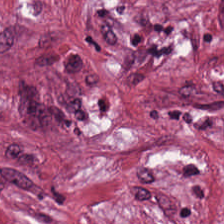H&E stain.
Q: What is shown here?
A: The field shows cancer-associated stroma.
